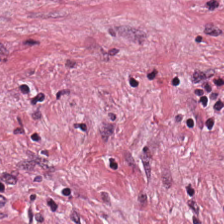H&E patch showing desmoplastic stroma.
